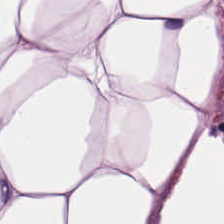H&E. Predominantly adipose.
